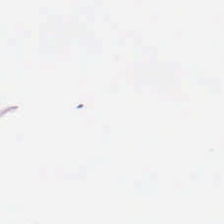No tissue.
